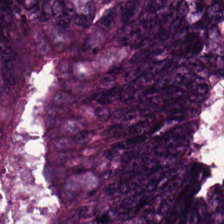H&E-stained tissue section. 0.5 µm per pixel.
Colorectal adenocarcinoma.
